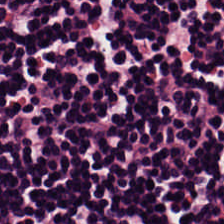H&E stain.
Predominantly lymphocytic infiltrate.
